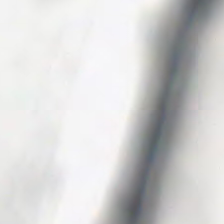H&E stain — Field content — background.
